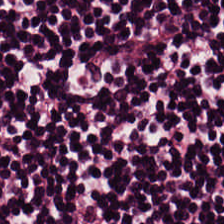Impression — lymphocyte aggregate.
